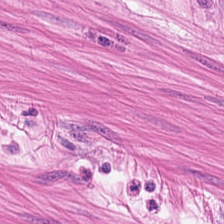H&E. {"tissue_type": "smooth muscle"}
